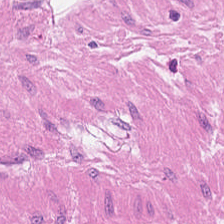Brightfield; 224×224 pixel tile; H&E-stained tissue section.
Smooth-muscle tissue.
